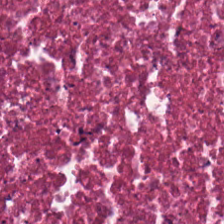H&E stain. Tissue class: debris.
